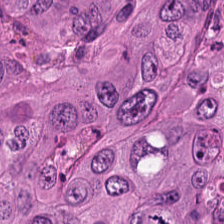Stain: hematoxylin-and-eosin stained section.
Predominant tissue: adenocarcinoma.
